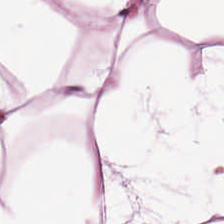H&E stain — Histology — fat tissue.
